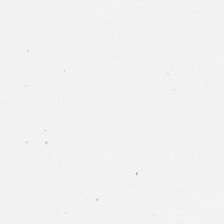Empty background.
